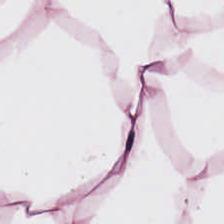{"tissue_type": "adipose tissue"}
